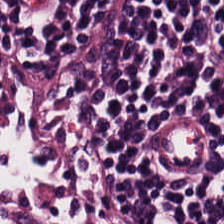H&E-stained tissue section. The tissue is lymphoid infiltrate.
